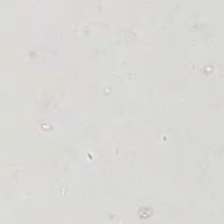Hematoxylin and eosin — Empty field — background.
